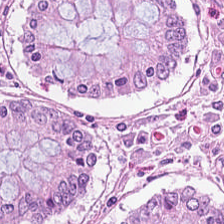Q: What is shown here?
A: This is benign colonic mucosa.
